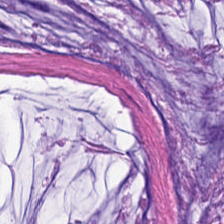Hematoxylin-and-eosin stained section. Predominant tissue — extracellular mucin.
